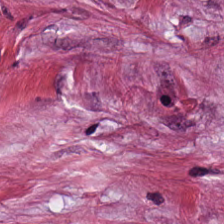H&E stain. Q: What is shown here?
A: This is tumor stroma.
